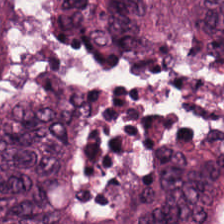Stain: H&E-stained tissue section.
Preparation: formalin-fixed paraffin-embedded section.
Tissue class: colorectal adenocarcinoma epithelium.
